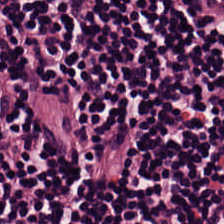Brightfield. H&E stain. 0.5 microns per pixel. Classification: lymphocyte aggregate.
